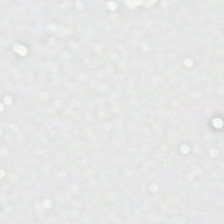Q: What does this patch show?
A: Empty background.
